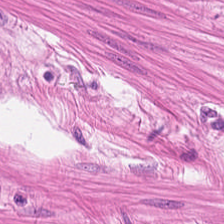Hematoxylin and eosin. The predominant tissue is smooth-muscle tissue.
